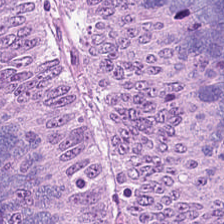Hematoxylin-and-eosin stained section. 0.5 microns per pixel — {"tissue_type": "colorectal adenocarcinoma"}
